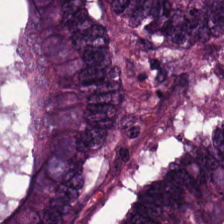H&E; 224×224 px patch — Q: What is shown in this field?
A: This is colorectal adenocarcinoma.
